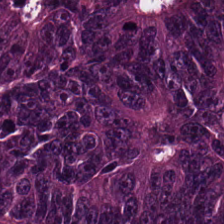H&E-stained section; the field shows colorectal adenocarcinoma epithelium.
